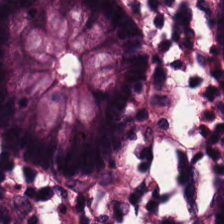Q: What is the predominant tissue type?
A: Normal colonic mucosa.
